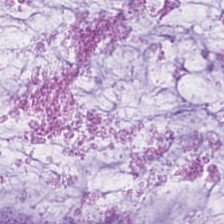Hematoxylin-and-eosin stained section — The tissue type is mucus.
